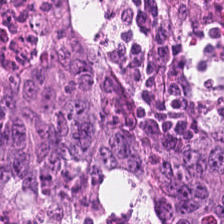Stain: H&E.
Tile size: 224×224 px patch.
Resolution: 0.5 µm/px.
Tissue class: malignant epithelium.
